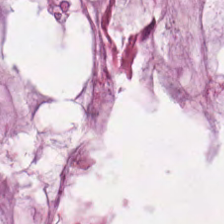Tissue type = mucin.
